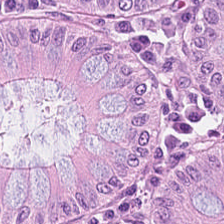H&E-stained tissue section; WSI patch; 0.5 µm/px — Tissue type: normal colon mucosa.
